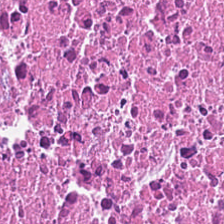Classification: cellular debris.
